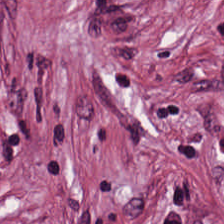Hematoxylin-and-eosin stained section.
Tissue type = cancer-associated stroma.
